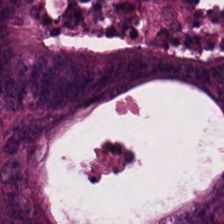Hematoxylin-and-eosin stained section. 0.5 µm per pixel — This field is adenocarcinoma.
